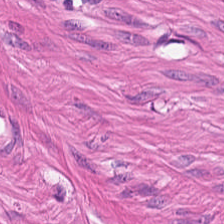H&E.
The tissue is smooth muscle.
